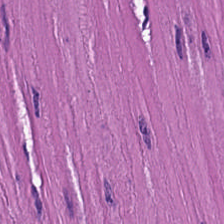Stain: hematoxylin-and-eosin stained section.
Tissue class: smooth muscle.
